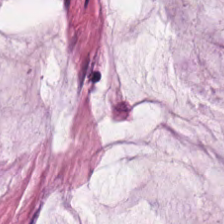H&E.
The tissue here is mucin.
